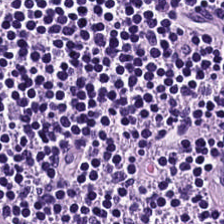224×224 px patch; whole-slide-image patch; hematoxylin and eosin.
The tissue here is lymphocyte aggregate.
